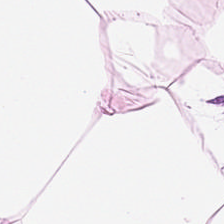H&E; WSI patch. Predominant tissue — adipocytes.
